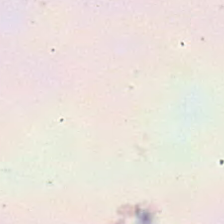224×224 px tile · H&E-stained tissue section.
Empty field — empty background.
